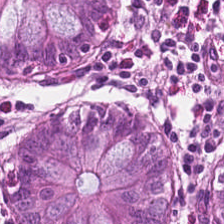H&E-stained tissue section; 0.5 microns per pixel.
Predominantly normal colonic mucosa.
